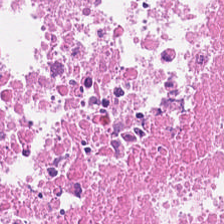Whole-slide-image patch; H&E-stained tissue section; 224×224 pixel tile.
{"tissue_type": "debris"}
